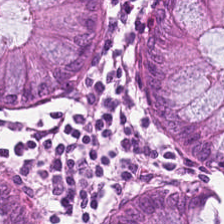Tissue — non-neoplastic colon mucosa.
